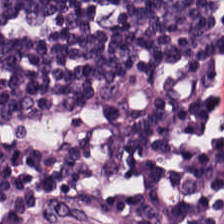Whole-slide-image patch; H&E; FFPE tissue section — {"tissue_type": "lymphocytes"}
